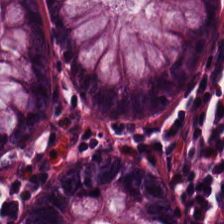Q: What type of tissue is this?
A: The field shows benign colonic mucosa.
